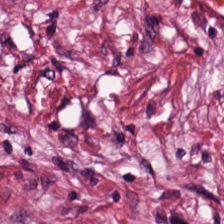H&E stain. 224×224 pixel tile. Brightfield.
Impression — desmoplastic stroma.
